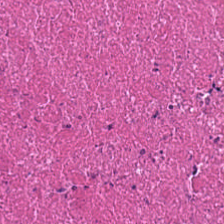Hematoxylin and eosin.
Impression → cellular debris.
